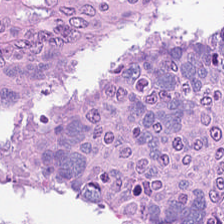20× equivalent magnification; hematoxylin and eosin; FFPE tissue section. This field is malignant epithelium.
